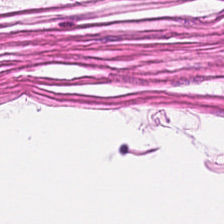Q: What is shown here?
A: The field shows muscularis.
